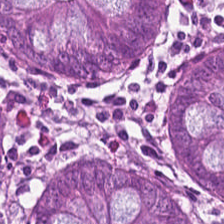H&E stain · 20× equivalent magnification — Histology — normal colonic mucosa.
